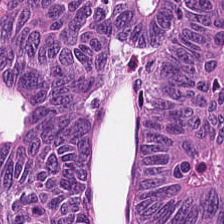20× equivalent magnification. H&E. 224×224 px patch.
Showing tumor epithelium.
